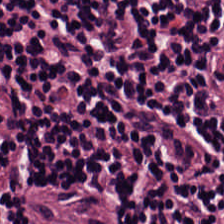Stain: hematoxylin-and-eosin stained section.
Acquisition: WSI patch.
Tissue: lymphocytic infiltrate.
